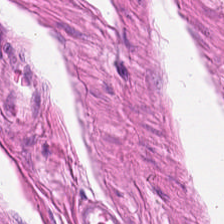H&E — The classification is smooth muscle.
